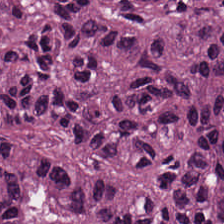Whole-slide-image patch · H&E-stained tissue section.
Tissue: malignant epithelium.
